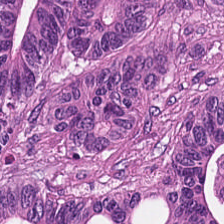Hematoxylin and eosin; whole-slide-image patch; FFPE — Q: What type of tissue is this?
A: It is malignant epithelium.
